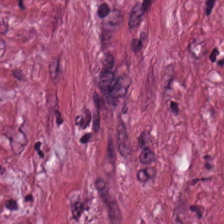224×224 pixel tile · brightfield microscopy · hematoxylin-and-eosin stained section.
This patch shows tumor stroma.
